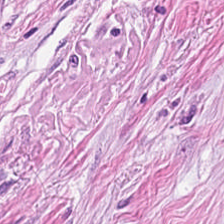Classification = tumor-associated stroma.
